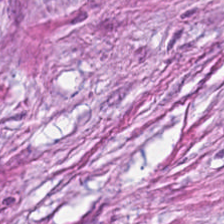H&E stain. This patch shows tumor-associated stroma.
